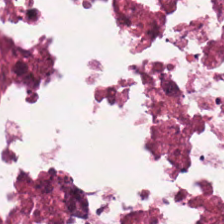H&E-stained tissue section. The predominant tissue is necrotic debris.
